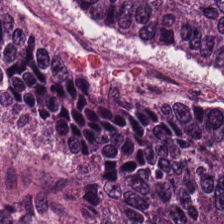H&E-stained tissue section. 224×224 pixel tile. Brightfield.
Histology → colorectal adenocarcinoma epithelium.
